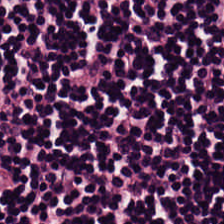H&E. Brightfield microscopy.
{"tissue_type": "lymphocyte aggregate"}
